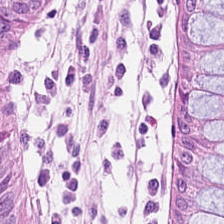Tissue = benign colonic mucosa.
